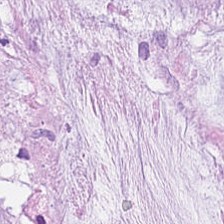H&E-stained tissue section.
Predominantly extracellular mucin.
